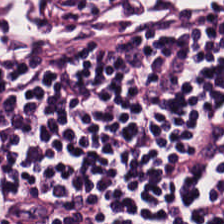FFPE; H&E stain.
Tissue type: lymphocytes.
